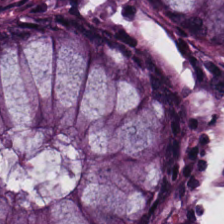H&E.
The tissue class is non-neoplastic colon mucosa.
